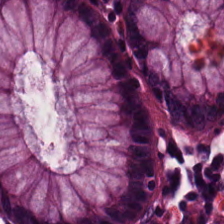Stain: hematoxylin and eosin.
Acquisition: whole-slide-image patch.
Tissue class: benign colonic mucosa.
